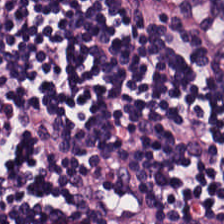Hematoxylin-and-eosin stained section. 0.5 microns per pixel. Q: Classify this patch.
A: The field shows lymphocytes.
